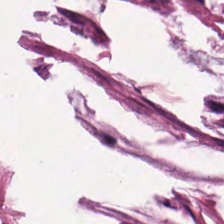H&E stain. Histology → extracellular mucin.
